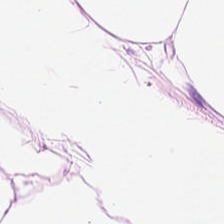H&E stain; 224×224 pixel tile. Histology → adipose tissue.
